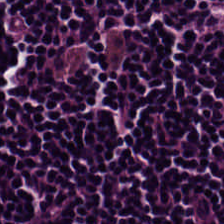WSI patch · hematoxylin-and-eosin stained section — Finding — lymphoid infiltrate.
